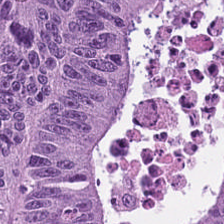Tissue class: tumor epithelium.
